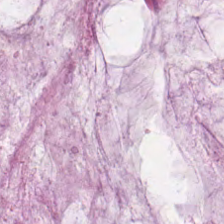The predominant tissue is mucin.
